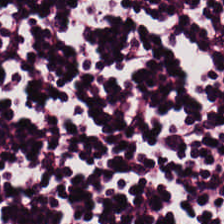H&E stain — Showing lymphocyte aggregate.
